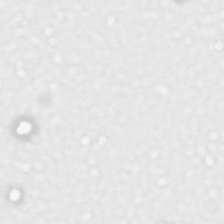Content — no tissue.
